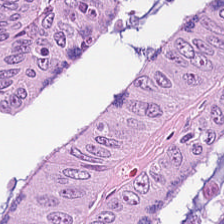0.5 µm/px; H&E-stained tissue section — Classification: tumor epithelium.
